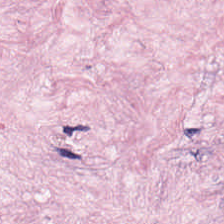The predominant tissue is tumor stroma.
